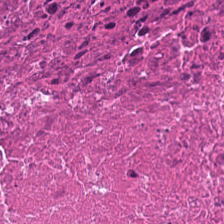{"tissue_type": "debris"}
